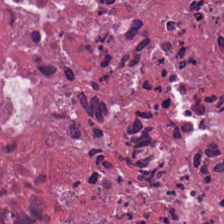0.5 microns per pixel. Hematoxylin and eosin. FFPE.
Histology — necrotic debris.
